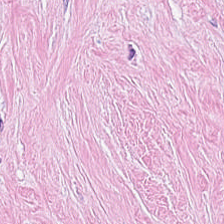H&E; 224×224 px patch — Predominantly desmoplastic stroma.
